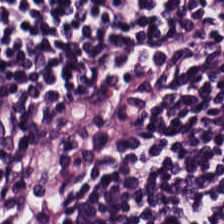WSI patch. FFPE. Hematoxylin and eosin. Tissue class: lymphoid infiltrate.
